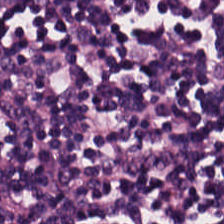Hematoxylin-and-eosin stained section — Tissue type — lymphocytes.
